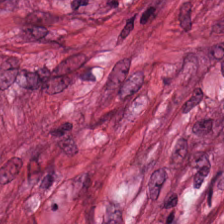H&E stain.
Finding → desmoplastic stroma.
